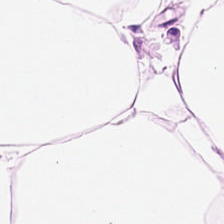H&E; 224×224 px patch.
Predominantly adipose.
